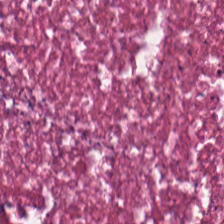Q: What is the predominant tissue type?
A: Necrotic debris.
